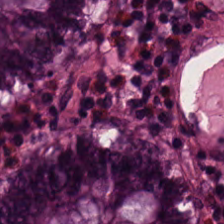This patch shows benign colonic mucosa.
